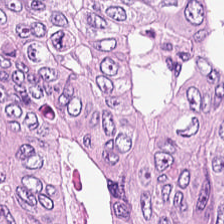H&E-stained tissue section. 0.5 µm per pixel.
Predominantly tumor epithelium.
